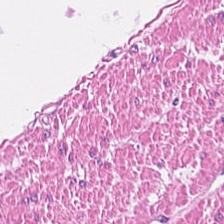Hematoxylin and eosin. Q: What does this patch show?
A: This is smooth muscle.
